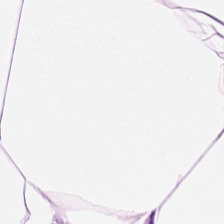Hematoxylin-and-eosin stained section.
Histology → fat tissue.
